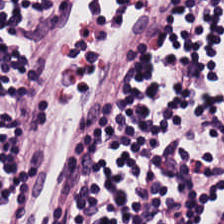FFPE; H&E-stained tissue section.
Showing lymphocytes.
